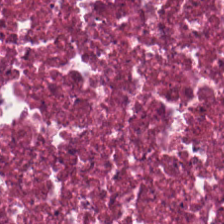Impression — cellular debris.
